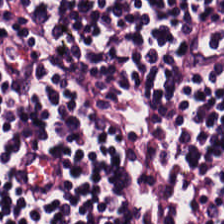FFPE tissue section; H&E — Q: What tissue type is shown here?
A: The field shows lymphoid infiltrate.
